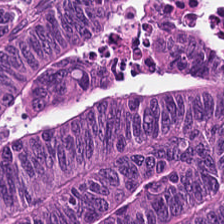Stain: H&E stain.
Acquisition: brightfield.
Tissue class: colorectal adenocarcinoma.
